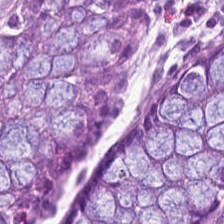Predominant tissue = non-neoplastic colon mucosa.
